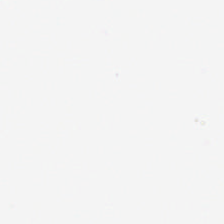H&E stain; 0.5 microns per pixel.
Field content: background.
